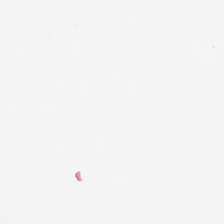H&E — This patch shows background.
